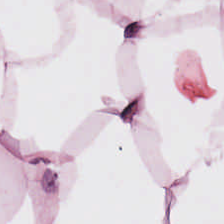H&E patch showing fat tissue.
